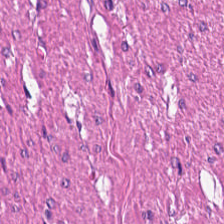The tissue here is smooth muscle.
